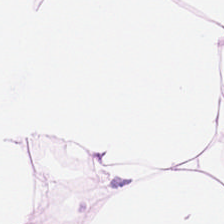Formalin-fixed paraffin-embedded section · H&E.
Impression → fat tissue.
